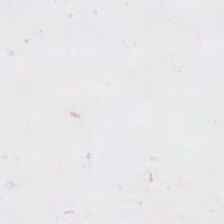H&E stain. Formalin-fixed paraffin-embedded section. The field content is no tissue.
